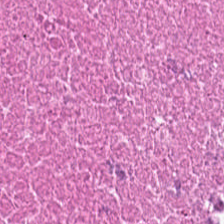0.5 µm/px; FFPE; hematoxylin and eosin.
The tissue here is cellular debris.
